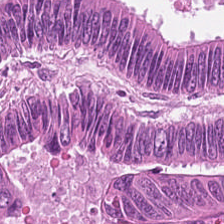Stain: H&E-stained tissue section.
Tile size: 224×224 pixel tile.
Tissue type: tumor epithelium.
